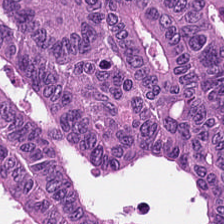H&E stain.
This field is malignant epithelium.
